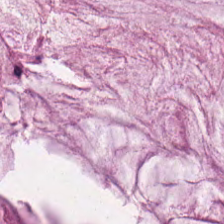H&E-stained tissue section — Predominantly mucin.
